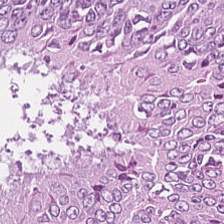Hematoxylin and eosin. Predominant tissue = adenocarcinoma.
